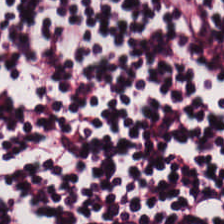H&E stain; WSI patch — Q: What is the predominant tissue type?
A: The field shows lymphocyte aggregate.
